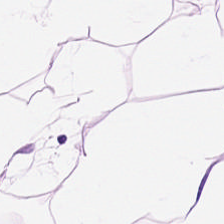H&E — This patch shows adipose.
